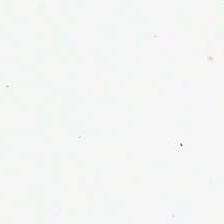Q: What is shown in this field?
A: It is background.
